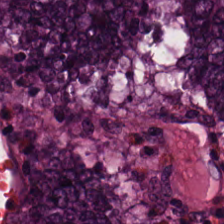H&E — benign colonic mucosa.
